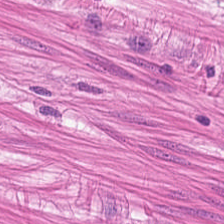H&E-stained tissue section. Q: What is shown here?
A: It is smooth muscle.
